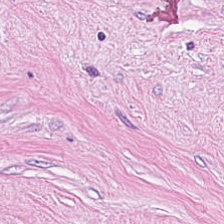The predominant tissue is tumor-associated stroma.
